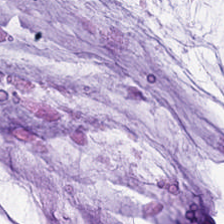H&E; 0.5 microns per pixel; 224×224 pixel tile.
Classification — mucin.
